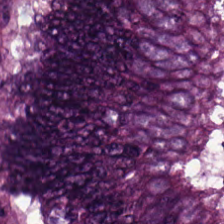Brightfield. H&E stain.
{"tissue_type": "colorectal adenocarcinoma epithelium"}
